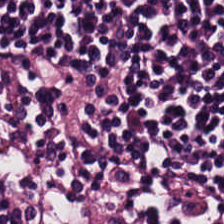Hematoxylin and eosin.
The classification is lymphocytic infiltrate.
